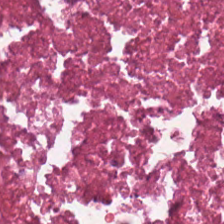H&E patch showing cellular debris.
